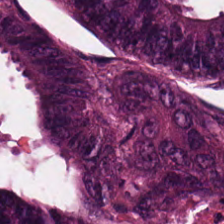FFPE tissue section; H&E stain.
This patch shows colorectal adenocarcinoma epithelium.
